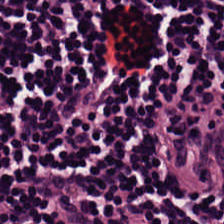Hematoxylin and eosin. Impression → lymphocytic infiltrate.
